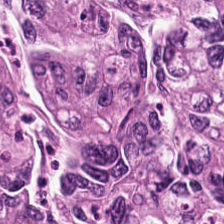H&E-stained tissue section. FFPE tissue section. The predominant tissue is colorectal adenocarcinoma epithelium.
